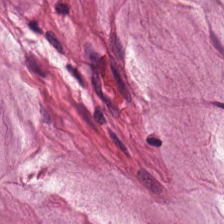224×224 pixel tile. H&E stain. Brightfield — Showing mucin.
